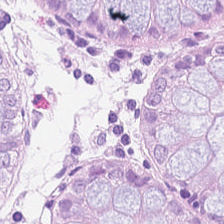H&E stain; WSI patch — Predominant tissue = benign colonic mucosa.
